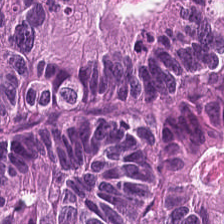H&E stain.
This field is tumor epithelium.
